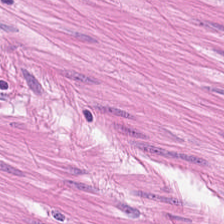Formalin-fixed paraffin-embedded section. H&E stain.
The predominant tissue is muscularis.
